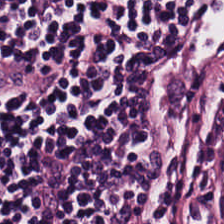224×224 px patch. H&E stain. {"tissue_type": "lymphoid infiltrate"}
